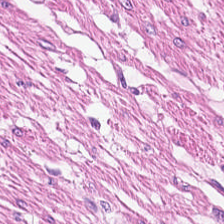This patch shows muscularis.
